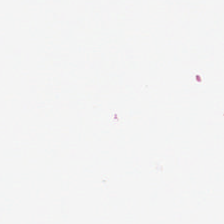Hematoxylin-and-eosin stained section — This patch shows no tissue.
